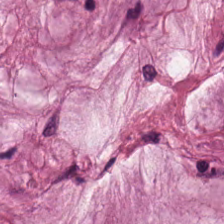FFPE tissue section. H&E. The predominant tissue is extracellular mucin.
